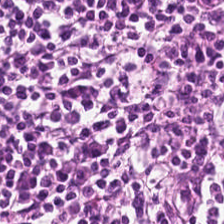Hematoxylin and eosin; brightfield.
Tissue = lymphoid infiltrate.
